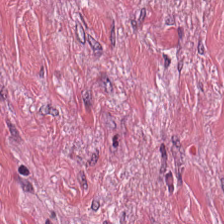Hematoxylin and eosin.
Predominantly tumor-associated stroma.
